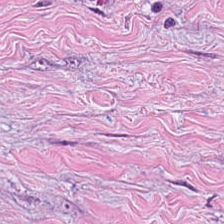Brightfield; H&E stain; 0.5 µm/px.
Predominant tissue: desmoplastic stroma.
